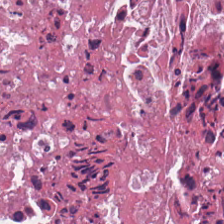Impression — necrotic debris.
